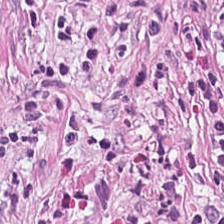H&E; 0.5 µm/px. Q: Identify the tissue.
A: The field shows tumor stroma.
